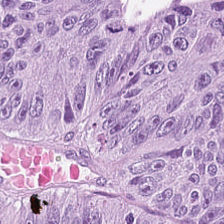Brightfield microscopy. Hematoxylin and eosin — {"tissue_type": "malignant epithelium"}
